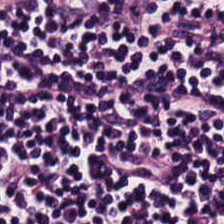Stain: hematoxylin and eosin.
Preparation: FFPE tissue section.
Tile size: 224×224 pixel tile.
Tissue class: lymphocytic infiltrate.
